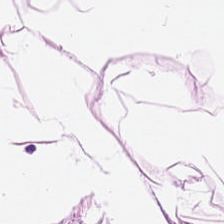H&E stain — Tissue type = fat tissue.
